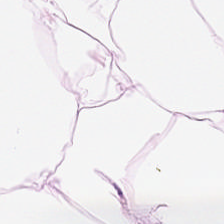H&E patch showing adipose.
